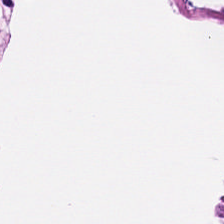Brightfield. 0.5 µm per pixel. H&E stain. The tissue class is smooth muscle.
